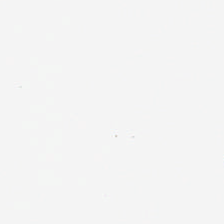Stain: hematoxylin and eosin.
Resolution: 20× equivalent magnification.
Content: empty background.
